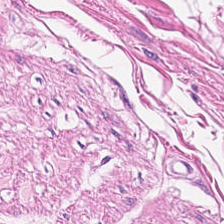H&E-stained tissue section; brightfield; FFPE tissue section. Q: What type of tissue is this?
A: It is smooth-muscle tissue.
